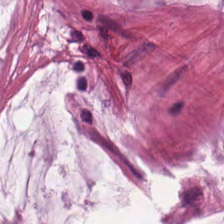Q: Identify the tissue.
A: This is mucin.
